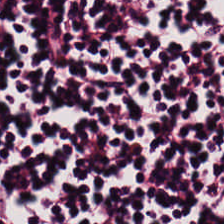0.5 µm/px · H&E-stained tissue section · brightfield microscopy.
Q: What is the predominant tissue type?
A: This is lymphocytes.
